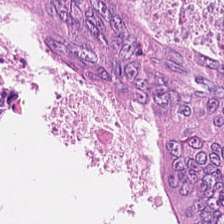H&E stain.
Tissue type: colorectal adenocarcinoma.
